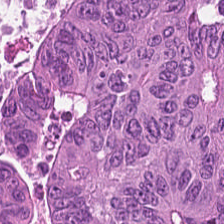0.5 microns per pixel · H&E-stained tissue section · 224×224 px tile. This patch shows colorectal adenocarcinoma.
